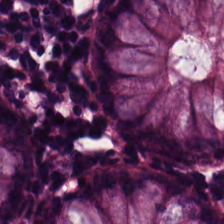Hematoxylin-and-eosin stained section. Q: What does this patch show?
A: Normal colon mucosa.
